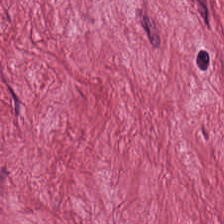H&E-stained tissue section · WSI patch.
The tissue here is cancer-associated stroma.
